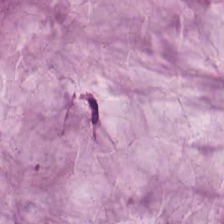H&E — extracellular mucin.
